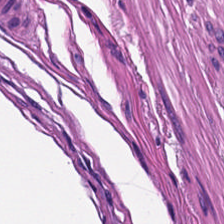224×224 pixel tile · H&E — Histology → smooth muscle.
